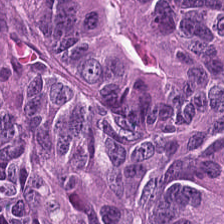Brightfield · H&E stain · formalin-fixed paraffin-embedded section.
The tissue here is colorectal adenocarcinoma.
